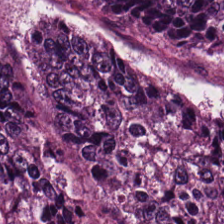Stain: H&E-stained tissue section.
Preparation: formalin-fixed paraffin-embedded section.
Acquisition: brightfield microscopy.
Tissue type: colorectal adenocarcinoma epithelium.
